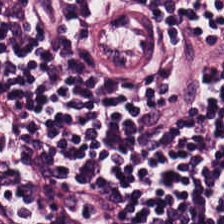H&E stain. Predominant tissue — lymphocytes.
